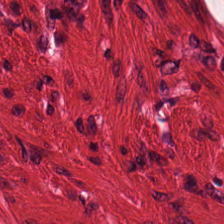H&E stain — Tissue type = muscularis.
